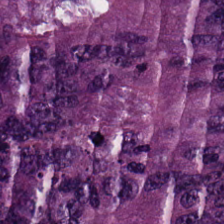H&E-stained tissue section — Tumor epithelium.
